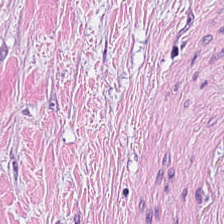Hematoxylin and eosin. Tissue = desmoplastic stroma.
